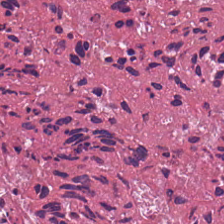WSI patch; hematoxylin-and-eosin stained section; 0.5 µm/px.
Showing cellular debris.
